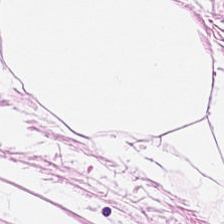Classification — adipose.
